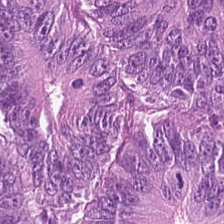H&E-stained tissue section — Q: What tissue type is shown here?
A: This is colorectal adenocarcinoma.
